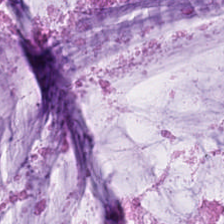Stain: H&E.
Tile size: 224×224 px tile.
Preparation: formalin-fixed paraffin-embedded section.
Tissue: extracellular mucin.
